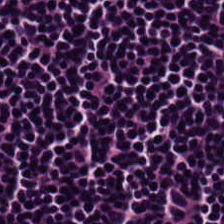H&E; formalin-fixed paraffin-embedded section. This patch shows lymphocytes.
